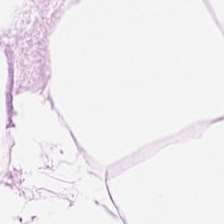Showing adipocytes.
